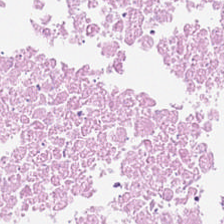H&E stain.
Q: What does this patch show?
A: The field shows cellular debris.
